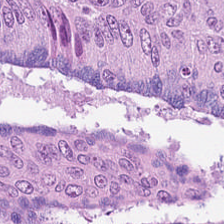0.5 µm per pixel. Brightfield microscopy. H&E — This patch shows adenocarcinoma.
